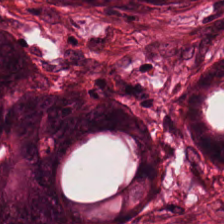H&E stain. Histology → adenocarcinoma.
